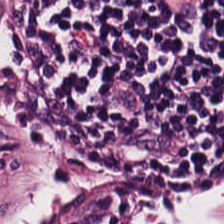Hematoxylin-and-eosin stained section.
This field is lymphoid infiltrate.
